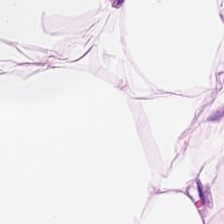Hematoxylin and eosin · brightfield.
Adipose.
